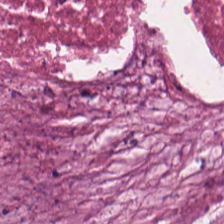224×224 px tile; hematoxylin-and-eosin stained section. Predominantly debris.
